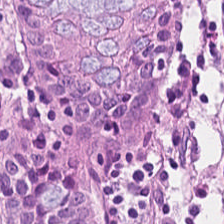Hematoxylin-and-eosin stained section.
This patch shows benign colonic mucosa.
